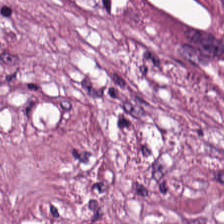H&E. FFPE.
Q: What is shown in this field?
A: Tumor stroma.
